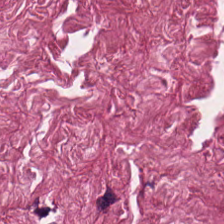Hematoxylin and eosin. This patch shows tumor stroma.
